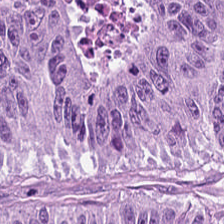Hematoxylin and eosin — Q: What type of tissue is this?
A: This is malignant epithelium.
